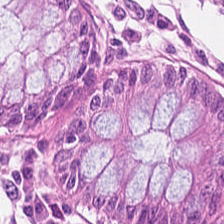Predominant tissue — benign colonic mucosa.
